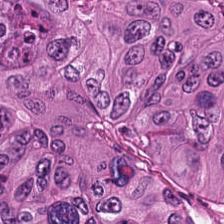Q: What is shown in this field?
A: The field shows colorectal adenocarcinoma.
